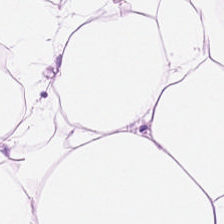Stain: hematoxylin and eosin.
Tile size: 224×224 px patch.
Preparation: FFPE tissue section.
Tissue: adipocytes.
